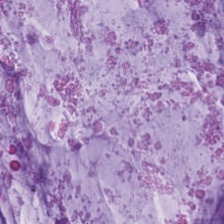WSI patch · 224×224 pixel tile · H&E — Q: What type of tissue is this?
A: Mucin.
